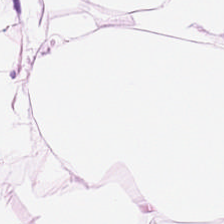H&E.
The predominant tissue is fat tissue.
